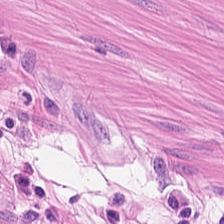Predominant tissue: smooth-muscle tissue.
